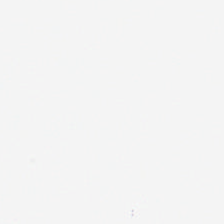H&E · formalin-fixed paraffin-embedded section · 224×224 pixel tile — Q: What is shown in this field?
A: It is background.
